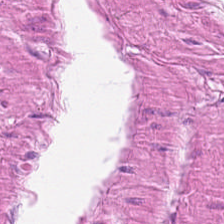0.5 microns per pixel; H&E.
Finding → smooth-muscle tissue.
